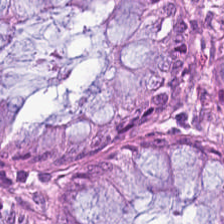Impression → benign colonic mucosa.
